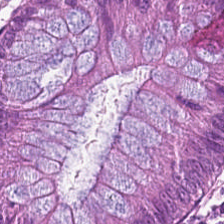Hematoxylin-and-eosin stained section. Whole-slide-image patch — Q: What is shown in this field?
A: It is normal colon mucosa.
